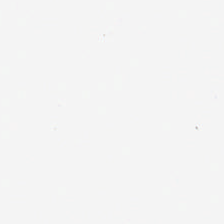Stain: H&E stain.
Acquisition: brightfield.
Content: background (no tissue).
